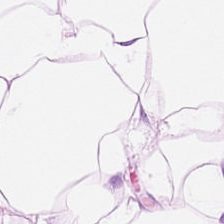Whole-slide-image patch; 20× equivalent magnification; H&E-stained tissue section. Showing adipose tissue.
